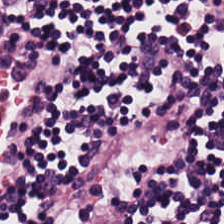H&E. Q: What tissue is shown?
A: This is lymphocyte aggregate.
